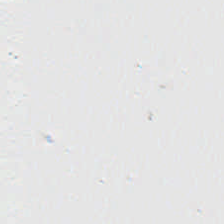Q: What does this patch show?
A: It is background.
